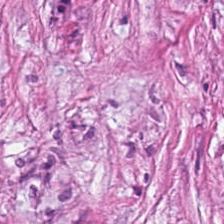Hematoxylin and eosin — The tissue class is tumor-associated stroma.
